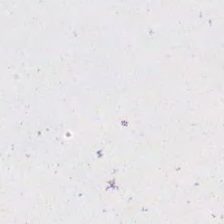WSI patch; H&E. The field content is background.
